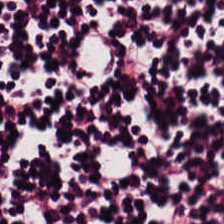H&E patch showing lymphocytes.
